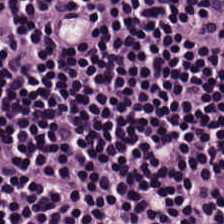{"tissue_type": "lymphocyte aggregate"}
